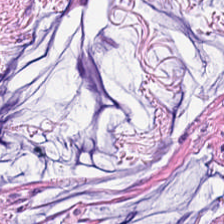Stain: H&E-stained tissue section.
Classification: cancer-associated stroma.
